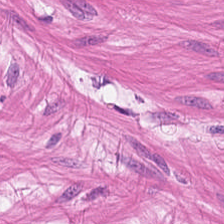H&E-stained tissue section. This field is smooth-muscle tissue.
